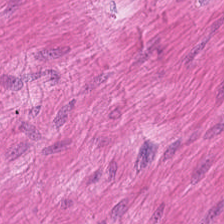Brightfield microscopy · hematoxylin-and-eosin stained section. This field is smooth-muscle tissue.
